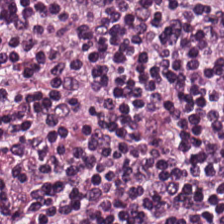H&E-stained tissue section. Tissue = lymphocytic infiltrate.
